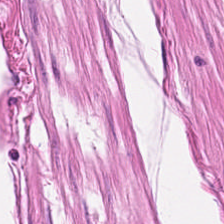Hematoxylin-and-eosin stained section. Predominantly smooth muscle.
